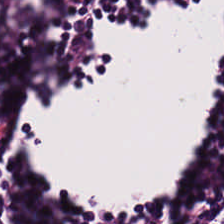Impression → lymphoid infiltrate.
